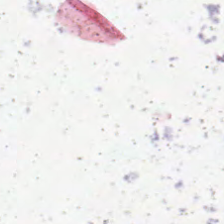H&E-stained tissue section. Field content: empty background.
